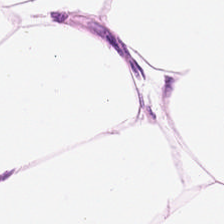Stain: hematoxylin and eosin.
Resolution: 20× equivalent magnification.
Tile size: 224×224 pixel tile.
Tissue class: adipose.
